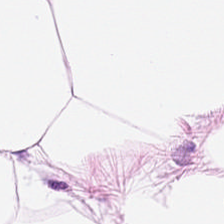H&E stain.
Predominant tissue — adipose.
